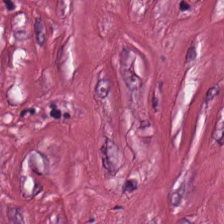Hematoxylin and eosin. 224×224 pixel tile — This field is tumor-associated stroma.
